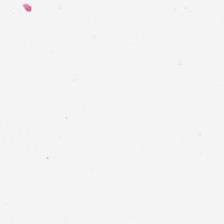Stain: H&E-stained tissue section.
Resolution: 0.5 µm/px.
Field content: background (no tissue).
